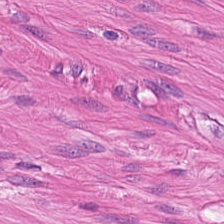The tissue here is muscularis.
